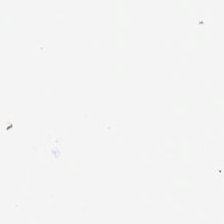Hematoxylin and eosin — {"content": "background"}
